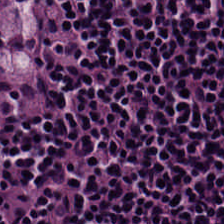WSI patch; H&E. Impression → lymphocytes.
